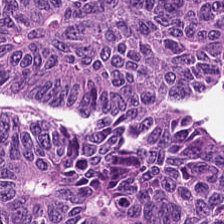H&E; 0.5 microns per pixel — This field is tumor epithelium.
